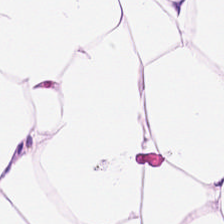Showing adipose tissue.
